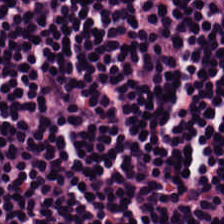Hematoxylin and eosin; formalin-fixed paraffin-embedded section — Classification: lymphocyte aggregate.
